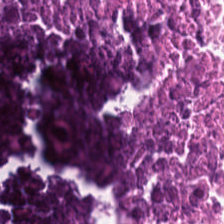Tissue class = debris.
